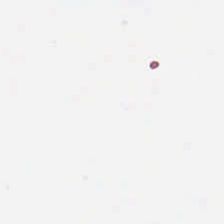Hematoxylin and eosin — Field content — empty background.
